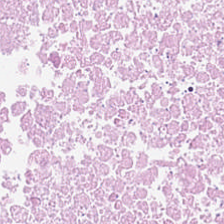{"tissue_type": "debris"}
